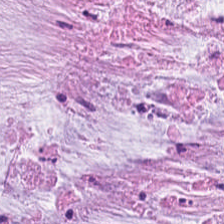Hematoxylin-and-eosin stained section; FFPE — Predominantly mucus.
